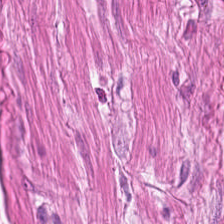Hematoxylin-and-eosin section: smooth muscle.
